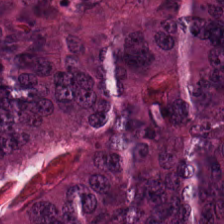Stain: H&E.
Classification: colorectal adenocarcinoma epithelium.
